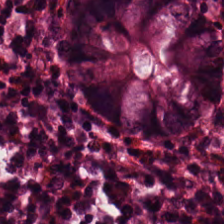H&E-stained tissue section · 224×224 px tile · 0.5 µm/px.
Q: Identify the tissue.
A: The field shows normal colonic mucosa.
